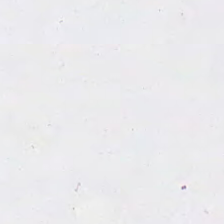H&E-stained tissue section — Q: What is shown here?
A: This is background (no tissue).
